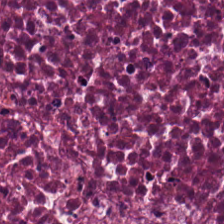H&E stain.
Q: What type of tissue is this?
A: The field shows debris.
